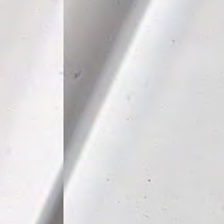Hematoxylin-and-eosin stained section · 20× equivalent magnification · FFPE.
Empty field — no tissue.
